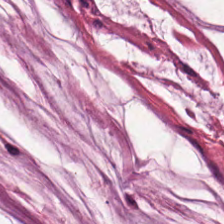The tissue is extracellular mucin.
